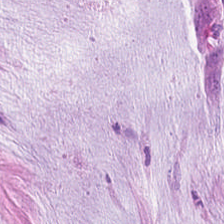H&E-stained tissue section · 0.5 µm/px. Q: Identify the tissue.
A: This is extracellular mucin.
